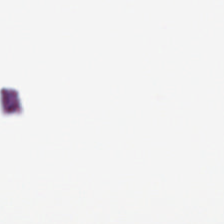WSI patch; 224×224 pixel tile; H&E stain — Content = empty background.
